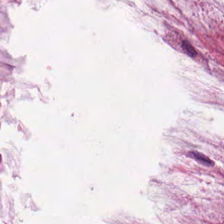Hematoxylin and eosin — Showing mucin.
